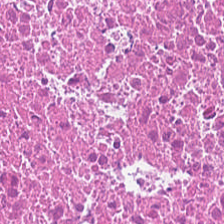Formalin-fixed paraffin-embedded section · H&E-stained tissue section. This patch shows cellular debris.
